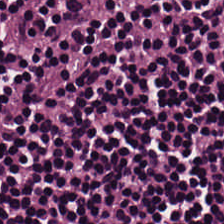Hematoxylin-and-eosin stained section. Showing lymphocyte aggregate.
